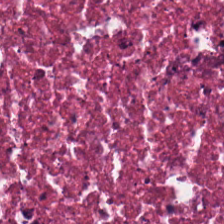Stain: hematoxylin and eosin.
Tissue: cellular debris.
